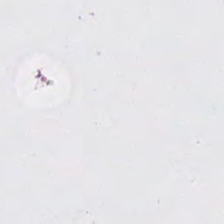Field content: empty background.
